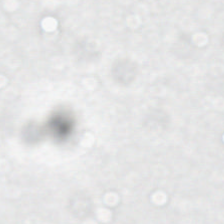Hematoxylin and eosin; 224×224 px tile — Background (no tissue).
